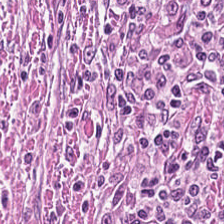FFPE tissue section. H&E-stained tissue section. Brightfield.
Q: What is the predominant tissue type?
A: Tumor stroma.
